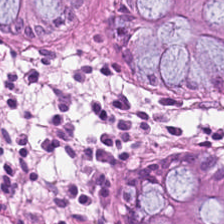H&E stain · brightfield microscopy — Showing normal colon mucosa.
